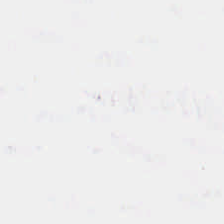Stain: H&E stain.
Content: empty background.
